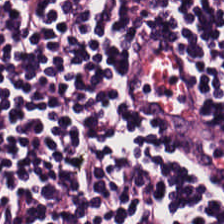Hematoxylin and eosin.
The tissue here is lymphocytes.
